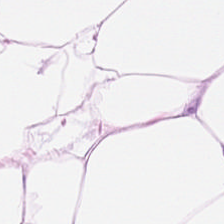H&E-stained tissue section.
Impression — adipocytes.
